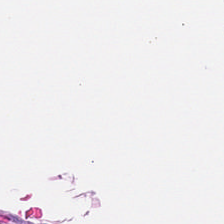Hematoxylin-and-eosin stained section.
Q: What is shown in this field?
A: It is smooth muscle.
